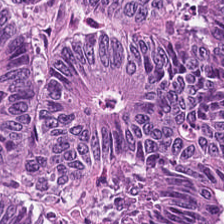0.5 µm per pixel. H&E-stained tissue section — Colorectal adenocarcinoma epithelium.
